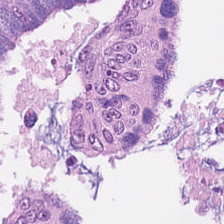H&E. Impression — adenocarcinoma.
